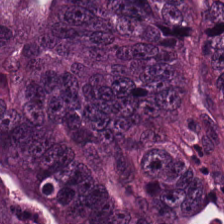H&E stain.
The predominant tissue is tumor epithelium.
